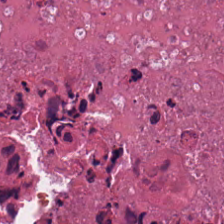Hematoxylin-and-eosin stained section.
The tissue here is cellular debris.
